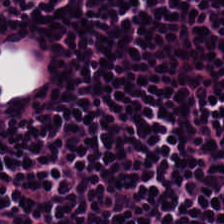Hematoxylin-and-eosin stained section. This field is lymphocytes.
